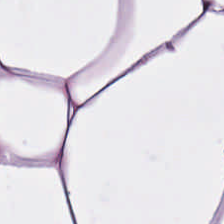Stain: hematoxylin-and-eosin stained section.
Preparation: FFPE.
Tissue class: adipocytes.
